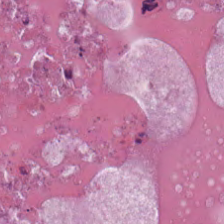H&E stain.
Q: What tissue is shown?
A: This is debris.
